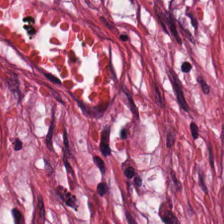20× equivalent magnification. H&E stain — Impression — tumor-associated stroma.
